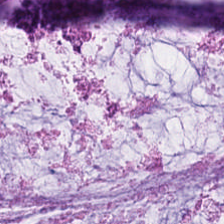Tissue — extracellular mucin.
